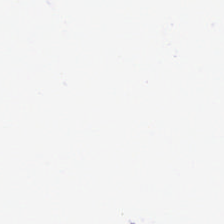WSI patch · H&E. Classification: no tissue.
